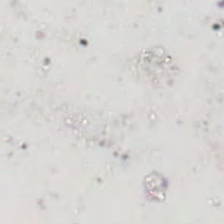Q: What is shown here?
A: Empty background.
